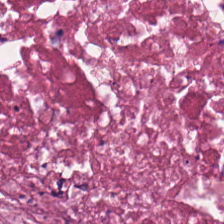H&E. Finding — cellular debris.
